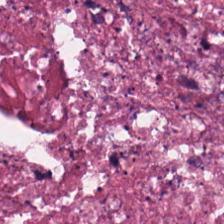H&E-stained tissue section. The predominant tissue is cellular debris.
